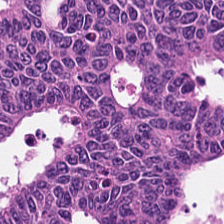0.5 µm per pixel. Hematoxylin-and-eosin stained section — {"tissue_type": "tumor epithelium"}
